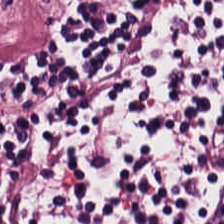H&E; 224×224 pixel tile — Q: What does this patch show?
A: It is lymphocyte aggregate.
